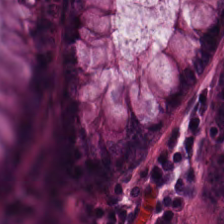H&E. {"tissue_type": "normal colonic mucosa"}
